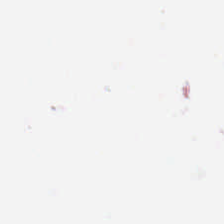Stain: H&E stain.
Content: no tissue.
